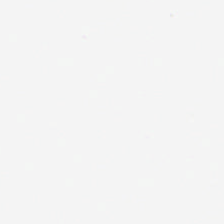H&E.
Content: background (no tissue).
